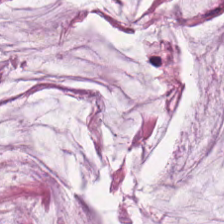Hematoxylin-and-eosin stained section — The tissue here is mucin.
